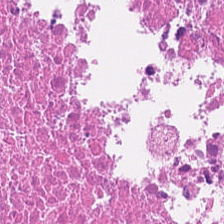H&E patch showing necrotic debris.
